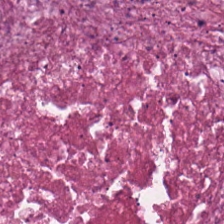Hematoxylin and eosin. Tissue class: cellular debris.
